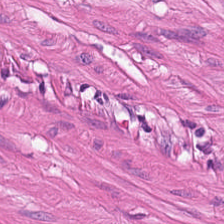Stain: H&E.
Predominant tissue: smooth-muscle tissue.
